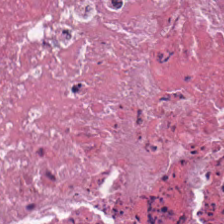H&E patch showing debris.
